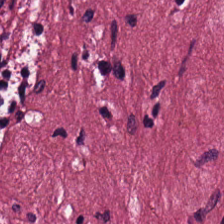Hematoxylin-and-eosin stained section. Showing cancer-associated stroma.
